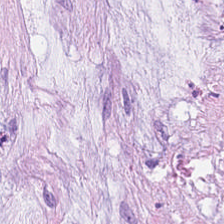224×224 px patch. H&E stain.
Histology — mucin.
